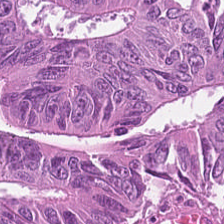0.5 µm per pixel. Hematoxylin and eosin — Predominant tissue — malignant epithelium.
